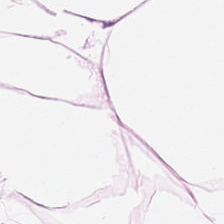H&E; 20× equivalent magnification — Showing adipocytes.
